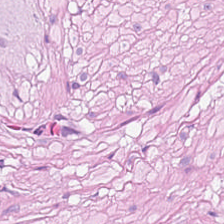H&E stain · brightfield. Tissue — smooth muscle.
